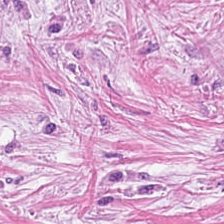224×224 px tile; 20× equivalent magnification; hematoxylin-and-eosin stained section. Tissue class = tumor-associated stroma.
